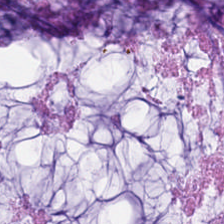Tissue: mucus.
